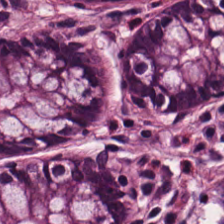Stain: hematoxylin and eosin.
Tissue class: benign colonic mucosa.
